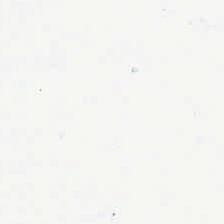0.5 µm per pixel. Formalin-fixed paraffin-embedded section. H&E-stained tissue section. Field content — background (no tissue).
